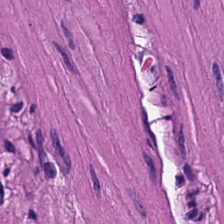Histology → smooth muscle.
